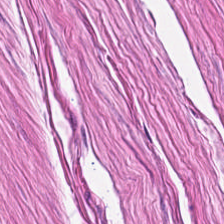H&E-stained tissue section · formalin-fixed paraffin-embedded section.
Tissue = muscularis.
